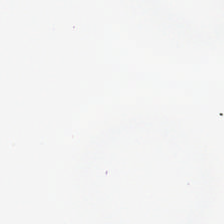H&E-stained tissue section. No tissue present; background only.
